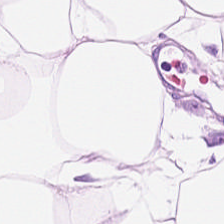0.5 µm/px; hematoxylin-and-eosin stained section — Q: What type of tissue is this?
A: Adipocytes.
